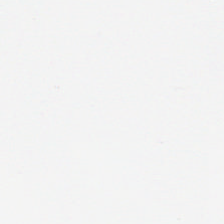Stain: hematoxylin and eosin.
Content: empty background.
